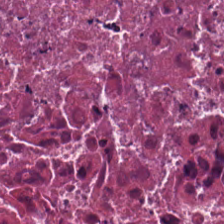Classification = necrotic debris.
